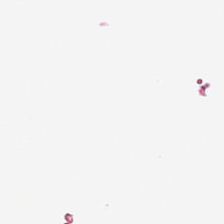Hematoxylin and eosin.
Impression → no tissue.
